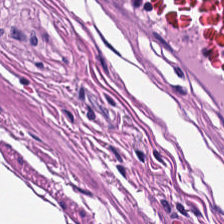H&E-stained tissue section — Predominantly smooth muscle.
